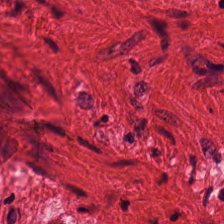H&E patch showing smooth-muscle tissue.
